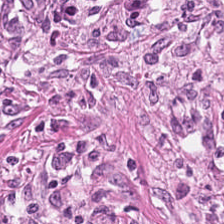H&E.
Q: What type of tissue is this?
A: Tumor-associated stroma.
